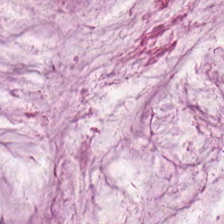H&E-stained tissue section.
Mucin.
